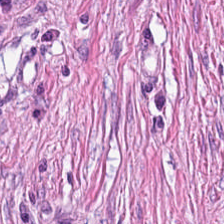Hematoxylin and eosin. Tissue — tumor-associated stroma.
